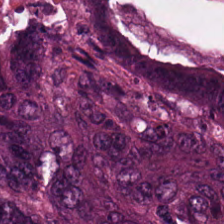Stain: hematoxylin and eosin.
Tissue: colorectal adenocarcinoma epithelium.
